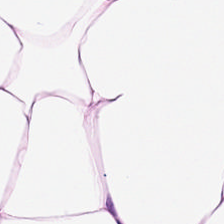0.5 µm per pixel. 224×224 px tile. H&E stain — Tissue = adipose tissue.
